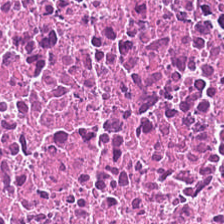Hematoxylin-and-eosin stained section. This patch shows debris.
